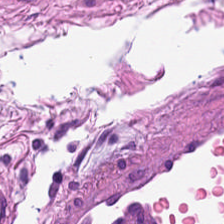H&E; 224×224 px patch.
This patch shows muscularis.
